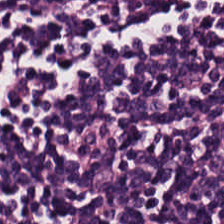224×224 pixel tile · H&E stain · whole-slide-image patch. {"tissue_type": "lymphocytes"}
